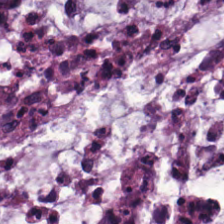H&E — mucin.
